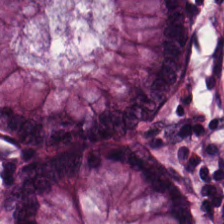224×224 px patch; hematoxylin and eosin.
{"tissue_type": "normal colon mucosa"}
